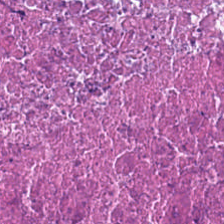Stain: hematoxylin and eosin.
Tissue: necrotic debris.
